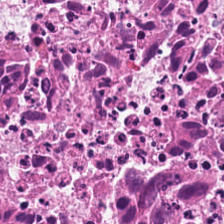Hematoxylin-and-eosin stained section. Classification = necrotic debris.
